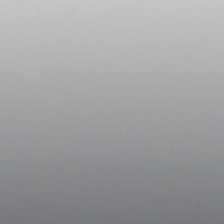H&E stain. This field is background (no tissue).
